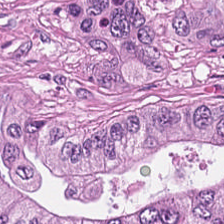H&E.
Tissue class = colorectal adenocarcinoma.
